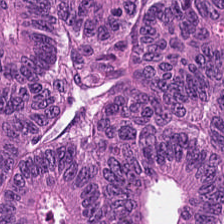Hematoxylin-and-eosin stained section; brightfield microscopy; 224×224 pixel tile. This patch shows tumor epithelium.
